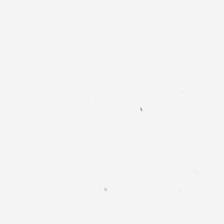Brightfield microscopy · H&E.
Classification: empty background.
